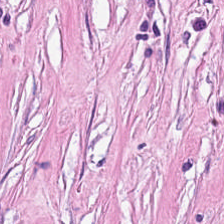Tumor-associated stroma.
